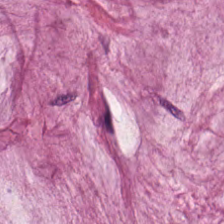H&E-stained tissue section. Histology — mucus.
